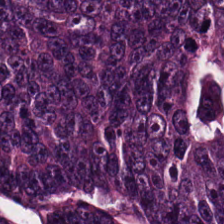FFPE tissue section; hematoxylin and eosin — Finding → tumor epithelium.
